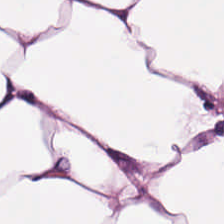H&E-stained tissue section. Tissue = adipose tissue.
